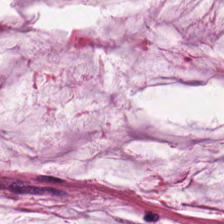FFPE. 0.5 microns per pixel. Hematoxylin and eosin.
Q: What tissue is shown?
A: It is mucin.
